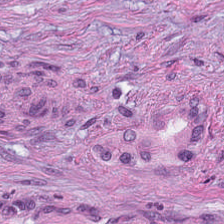H&E-stained tissue section showing tumor stroma.
